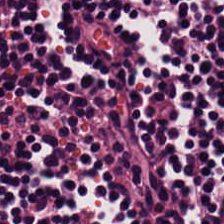H&E stain — The tissue type is lymphocytes.
